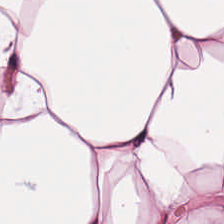Hematoxylin and eosin. The tissue here is adipose.
